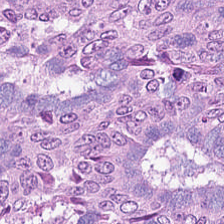H&E-stained tissue section — Tissue: malignant epithelium.
